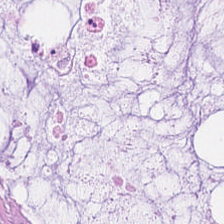Stain: hematoxylin and eosin.
Classification: extracellular mucin.
